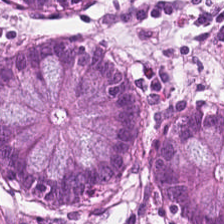Hematoxylin and eosin · 20× equivalent magnification. Benign colonic mucosa.
